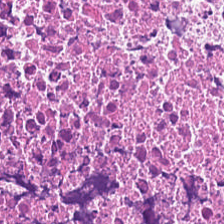Hematoxylin and eosin — This field is debris.
